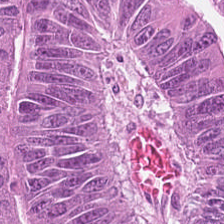Stain: H&E stain.
Tissue: tumor epithelium.
